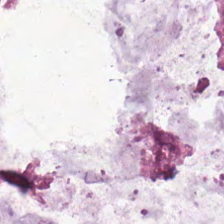H&E — This patch shows mucin.
